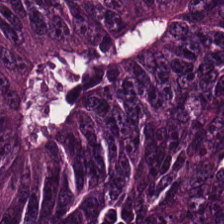H&E stain.
{"tissue_type": "adenocarcinoma"}
